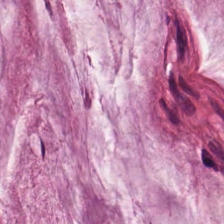{"tissue_type": "mucin"}
